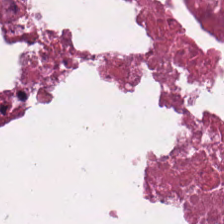H&E patch showing necrotic debris.
